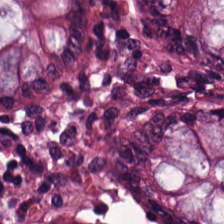0.5 microns per pixel. Hematoxylin-and-eosin stained section — Tissue type = non-neoplastic colon mucosa.
